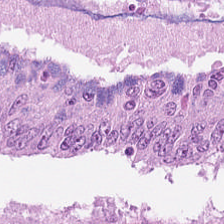H&E stain.
Predominantly colorectal adenocarcinoma epithelium.
